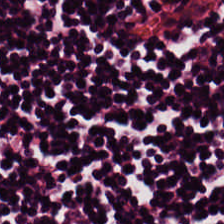H&E-stained tissue section; FFPE.
Finding → lymphoid infiltrate.
